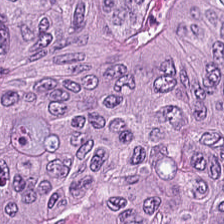Q: What is shown in this field?
A: Malignant epithelium.
